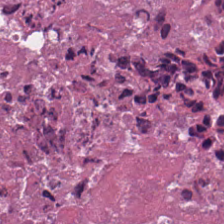Hematoxylin-and-eosin stained section.
This field is debris.
